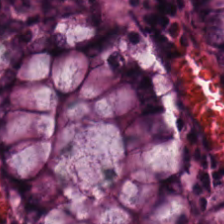Formalin-fixed paraffin-embedded section. H&E-stained tissue section.
The predominant tissue is normal colon mucosa.
